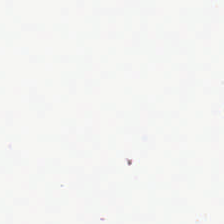Content — empty background.
